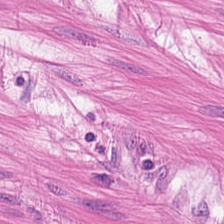Impression → smooth muscle.
